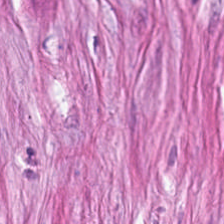Brightfield microscopy. H&E-stained tissue section.
Q: What does this patch show?
A: It is desmoplastic stroma.
